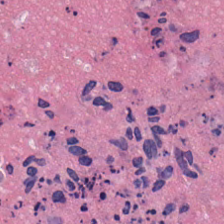{"tissue_type": "cellular debris"}
